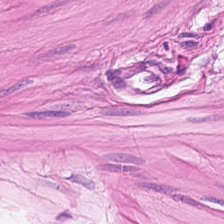FFPE; H&E-stained tissue section. Predominant tissue — muscularis.
